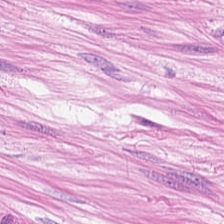Impression — smooth-muscle tissue.
